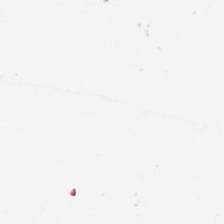H&E stain · formalin-fixed paraffin-embedded section. Q: What is shown in this field?
A: It is background (no tissue).
